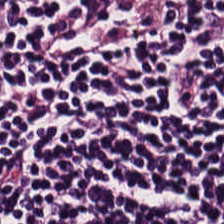Formalin-fixed paraffin-embedded section. H&E stain — Histology — lymphoid infiltrate.
